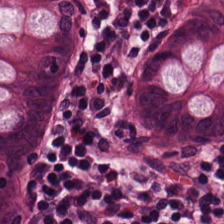Showing normal colonic mucosa.
